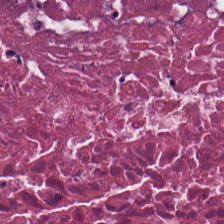H&E-stained tissue section — Finding → debris.
